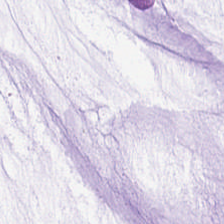H&E-stained tissue section. The predominant tissue is extracellular mucin.
